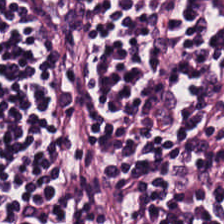H&E-stained tissue section. Formalin-fixed paraffin-embedded section. Brightfield microscopy. Tissue type — lymphocytic infiltrate.
